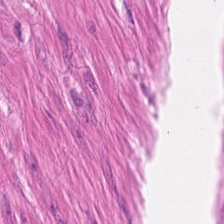Finding → muscularis.
